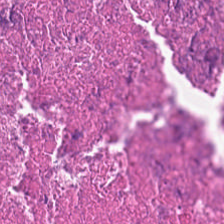Whole-slide-image patch. H&E stain.
Q: What does this patch show?
A: It is necrotic debris.
